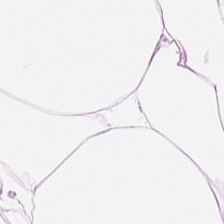Hematoxylin-and-eosin stained section — Tissue — adipocytes.
